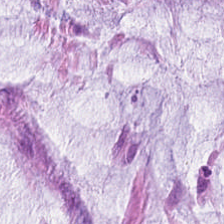Hematoxylin and eosin — The predominant tissue is mucus.
